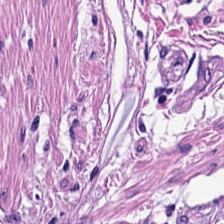H&E stain.
Tissue = muscularis.
